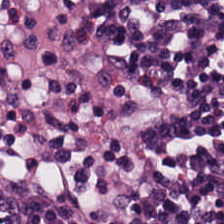Hematoxylin and eosin. Whole-slide-image patch. 224×224 px patch. The predominant tissue is lymphocyte aggregate.
